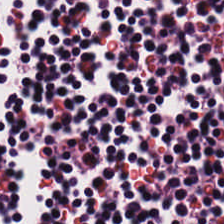224×224 pixel tile; whole-slide-image patch; H&E-stained tissue section. Predominantly lymphocytes.
